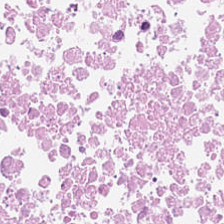FFPE tissue section · hematoxylin and eosin — Classification: cellular debris.
